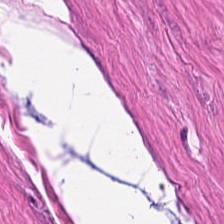H&E-stained tissue section. Showing smooth muscle.
